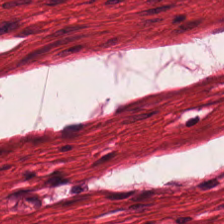H&E stain · WSI patch · 0.5 µm/px.
Histology → smooth muscle.
